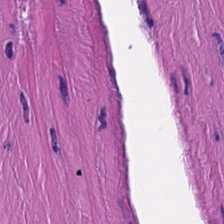H&E — This patch shows smooth-muscle tissue.
